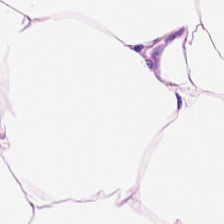20× equivalent magnification; hematoxylin-and-eosin stained section; WSI patch — Predominantly fat tissue.
